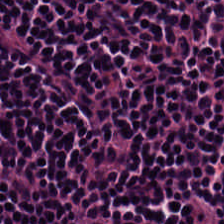H&E-stained tissue section; 0.5 µm per pixel — Classification — lymphocytic infiltrate.
